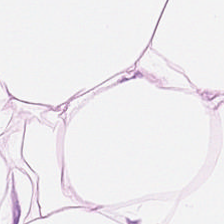Stain: hematoxylin-and-eosin stained section.
Tissue class: adipose.
